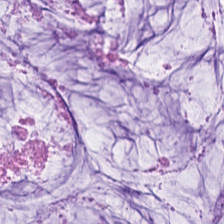Q: What is shown in this field?
A: The field shows mucin.
